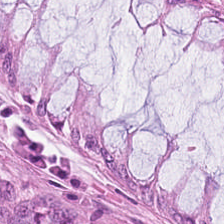Hematoxylin-and-eosin stained section. Tissue class: benign colonic mucosa.
